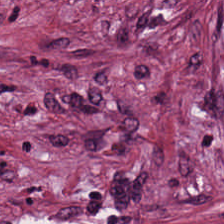H&E stain — Predominantly cancer-associated stroma.
